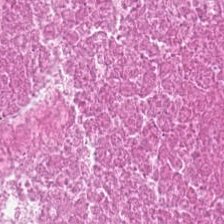H&E.
Finding → necrotic debris.
